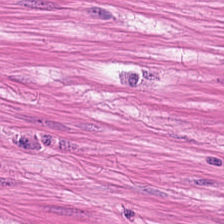Hematoxylin and eosin. This field is muscularis.
